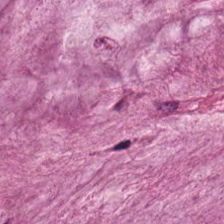Formalin-fixed paraffin-embedded section; H&E — The predominant tissue is mucus.
